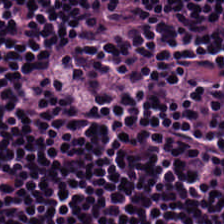Stain: hematoxylin and eosin.
Predominant tissue: lymphoid infiltrate.
